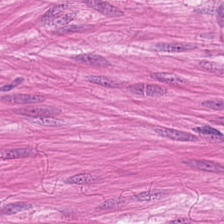Hematoxylin-and-eosin stained section. Tissue — smooth muscle.
